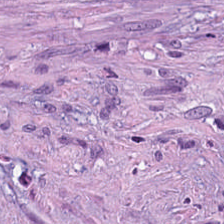Tissue type: desmoplastic stroma.
